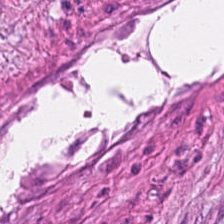H&E stain — {"tissue_type": "cancer-associated stroma"}
